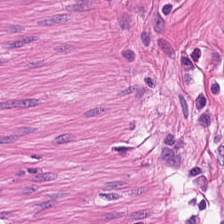FFPE tissue section · hematoxylin and eosin — Q: What is the predominant tissue type?
A: Smooth muscle.
